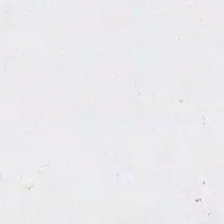Hematoxylin-and-eosin stained section.
Empty field — no tissue.
